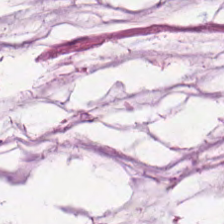Hematoxylin-and-eosin stained section.
Impression — mucin.
